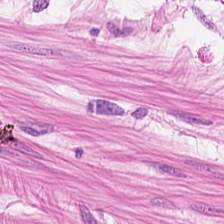Hematoxylin-and-eosin stained section.
Q: What is shown in this field?
A: This is smooth muscle.
